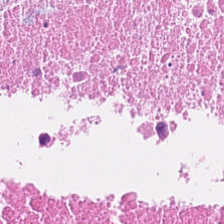H&E-stained tissue section · FFPE — The predominant tissue is necrotic debris.
